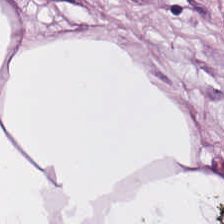0.5 microns per pixel. H&E — Tissue type — adipose tissue.
